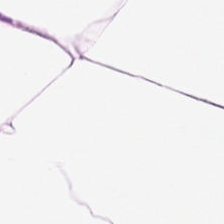224×224 px tile · H&E-stained tissue section — This field is adipocytes.
